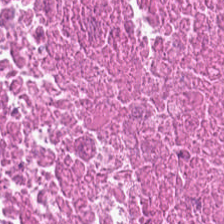H&E-stained tissue section. Finding → cellular debris.
